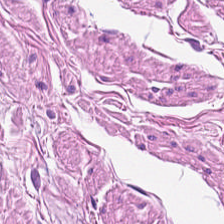Stain: H&E.
Acquisition: brightfield.
Tile size: 224×224 pixel tile.
Tissue class: smooth muscle.
